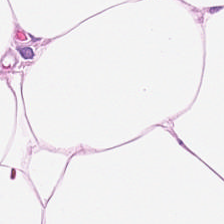Hematoxylin-and-eosin stained section · FFPE. {"tissue_type": "adipocytes"}
